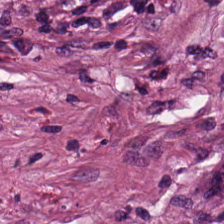H&E.
This patch shows desmoplastic stroma.
